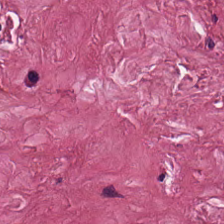Hematoxylin-and-eosin stained section.
Predominant tissue: desmoplastic stroma.
